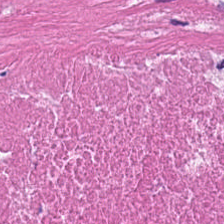224×224 px patch. Hematoxylin and eosin.
Showing cellular debris.
